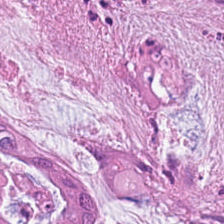Stain: H&E-stained tissue section.
Tissue: mucin.
